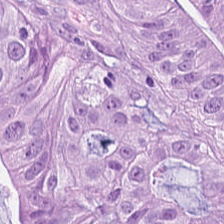Tissue — colorectal adenocarcinoma.
